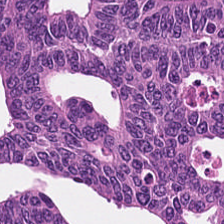H&E stain.
Q: What is the predominant tissue type?
A: It is colorectal adenocarcinoma.
